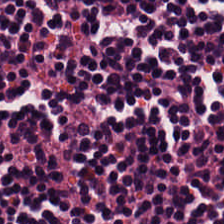H&E-stained tissue section. This field is lymphoid infiltrate.
